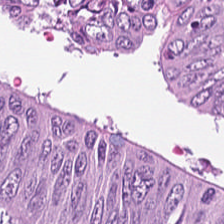Finding — tumor epithelium.
